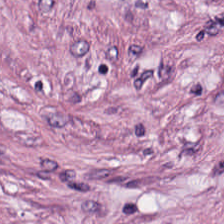Tissue: desmoplastic stroma.
